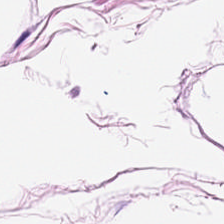Q: What does this patch show?
A: It is adipose.
